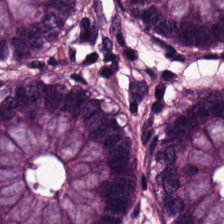224×224 px patch; hematoxylin-and-eosin stained section; brightfield. Impression → benign colonic mucosa.
